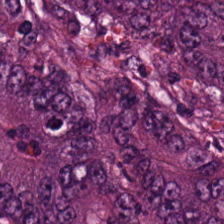Histology — tumor epithelium.
